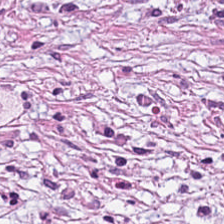Stain: hematoxylin-and-eosin stained section.
Tissue type: cancer-associated stroma.
